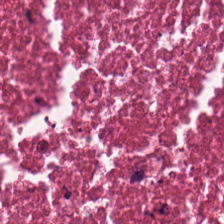The predominant tissue is necrotic debris.
